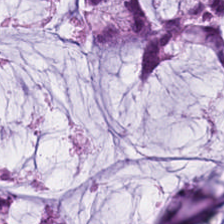Whole-slide-image patch. FFPE. Hematoxylin and eosin.
Predominant tissue — mucin.
